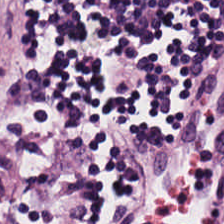Hematoxylin-and-eosin stained section.
The tissue here is lymphocytes.
